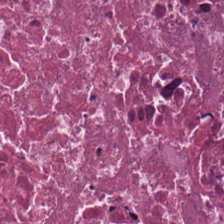Hematoxylin and eosin. Impression → debris.
